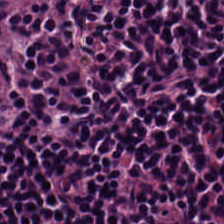224×224 pixel tile. 20× equivalent magnification. H&E-stained tissue section.
Q: What does this patch show?
A: It is lymphocytes.
